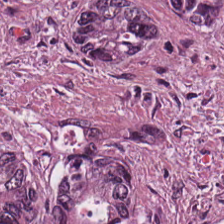H&E. Brightfield. Predominant tissue — colorectal adenocarcinoma epithelium.
